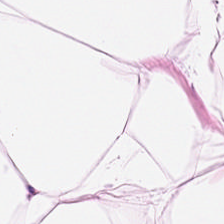H&E-stained tissue section · 224×224 pixel tile. Tissue class — adipose tissue.
